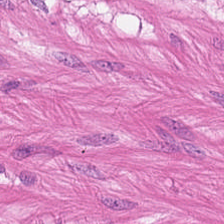Hematoxylin-and-eosin stained section — {"tissue_type": "smooth-muscle tissue"}
